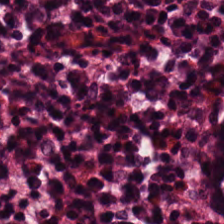Predominantly normal colon mucosa.
